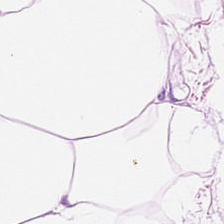{"tissue_type": "fat tissue"}
